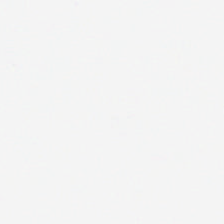224×224 px patch · H&E · FFPE tissue section.
Q: Classify this patch.
A: The field shows no tissue.
